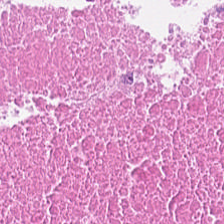H&E stain. Whole-slide-image patch.
Impression → cellular debris.
